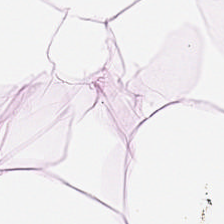H&E stain — Tissue type — adipose tissue.
